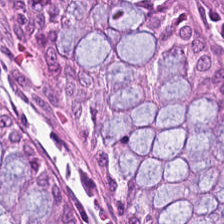Showing normal colon mucosa.
